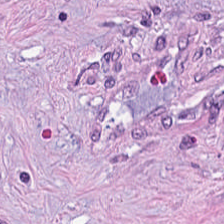Tissue: tumor-associated stroma.
